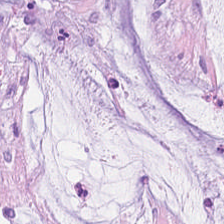Hematoxylin-and-eosin stained section. Brightfield.
Predominant tissue — mucin.
